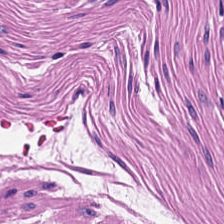Histology — smooth-muscle tissue.
